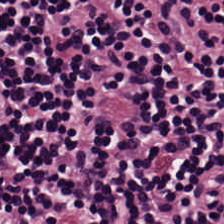H&E stain · FFPE · brightfield — This field is lymphoid infiltrate.
